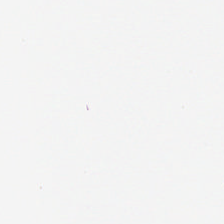H&E — Empty field — background.
